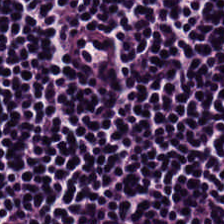Hematoxylin and eosin. Q: Identify the tissue.
A: Lymphocyte aggregate.
